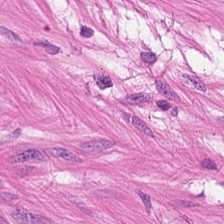Hematoxylin-and-eosin stained section.
This field is muscularis.
